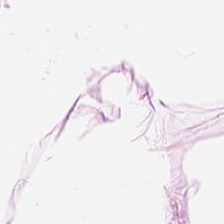Q: What is shown in this field?
A: This is adipocytes.
